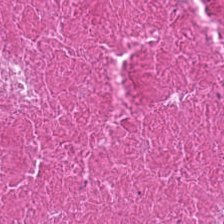Formalin-fixed paraffin-embedded section · H&E stain.
Tissue — debris.
